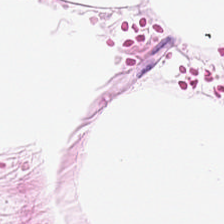WSI patch; hematoxylin and eosin — Q: What does this patch show?
A: It is adipocytes.
